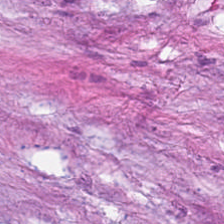Finding → cancer-associated stroma.
